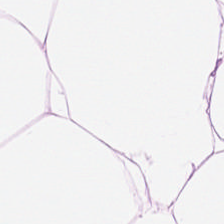H&E. Histology → adipocytes.
